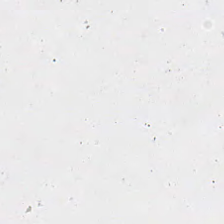{"content": "background (no tissue)"}
